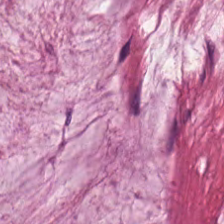H&E stain. Tissue — mucin.
